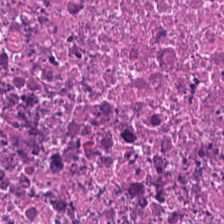Hematoxylin-and-eosin stained section — Q: What is the predominant tissue type?
A: This is necrotic debris.
